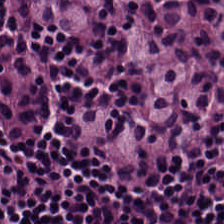Predominantly lymphocytes.
